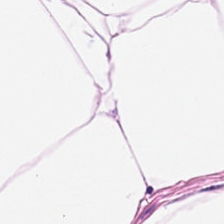H&E stain.
Finding → adipose.
